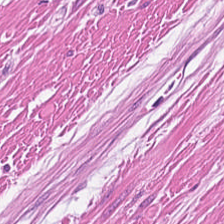H&E; 0.5 µm/px. Predominant tissue = smooth-muscle tissue.
